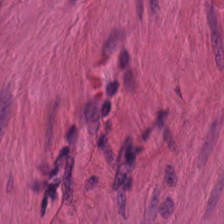Hematoxylin-and-eosin stained section. FFPE tissue section.
Tissue: muscularis.
